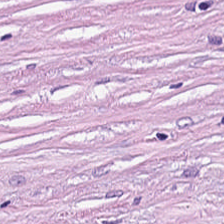Cancer-associated stroma.
